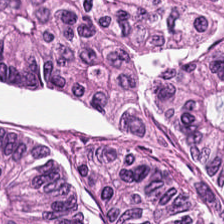H&E. 0.5 microns per pixel. Showing malignant epithelium.
